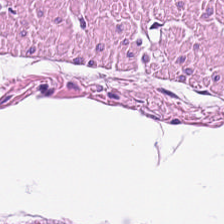Hematoxylin-and-eosin stained section; brightfield. The tissue here is smooth muscle.
